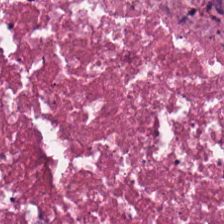0.5 microns per pixel; hematoxylin-and-eosin stained section.
This field is cellular debris.
